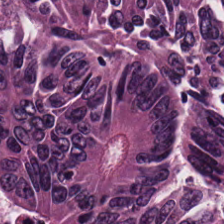224×224 pixel tile; hematoxylin and eosin; FFPE — The predominant tissue is malignant epithelium.
